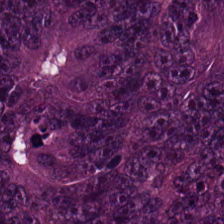H&E stain — This field is colorectal adenocarcinoma epithelium.
